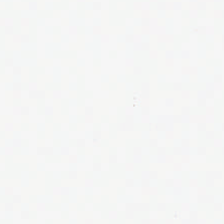Stain: H&E-stained tissue section.
Classification: no tissue.
